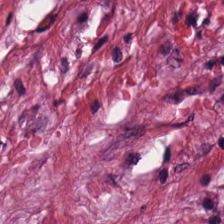H&E-stained tissue section. Predominantly desmoplastic stroma.
